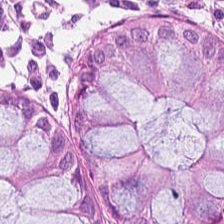H&E.
The predominant tissue is benign colonic mucosa.
